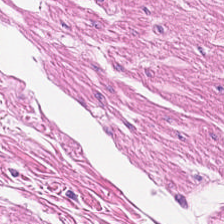Hematoxylin-and-eosin stained section — Showing smooth-muscle tissue.
